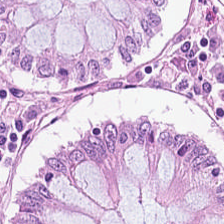Stain: H&E stain.
Predominant tissue: non-neoplastic colon mucosa.
